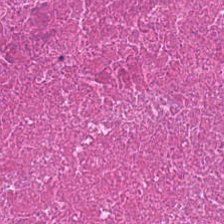Classification: necrotic debris.
